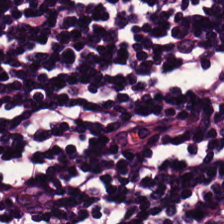0.5 µm/px. FFPE tissue section. H&E stain. Tissue class — lymphocyte aggregate.
